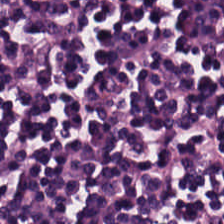Hematoxylin-and-eosin section: lymphocytes.
